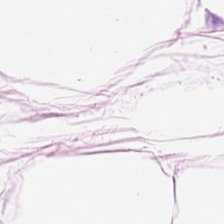Stain: hematoxylin-and-eosin stained section.
Tile size: 224×224 pixel tile.
Classification: adipose tissue.
